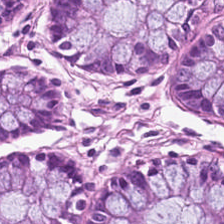Stain: H&E stain.
Tissue type: normal colonic mucosa.
